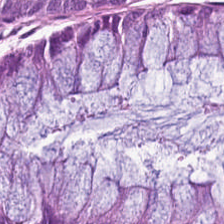Finding → benign colonic mucosa.
